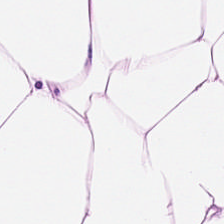Hematoxylin-and-eosin section: adipose tissue.
